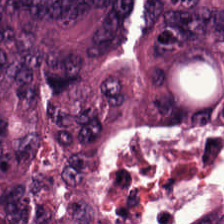FFPE · 224×224 px patch · H&E — The tissue here is colorectal adenocarcinoma epithelium.
